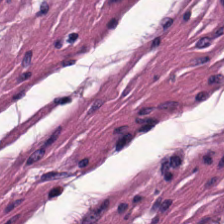Hematoxylin and eosin.
Showing smooth-muscle tissue.
